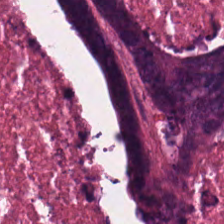H&E stain · brightfield. {"tissue_type": "cellular debris"}
